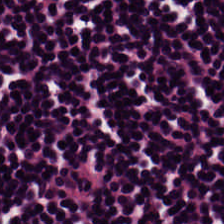Formalin-fixed paraffin-embedded section · whole-slide-image patch · H&E — Tissue = lymphoid infiltrate.
